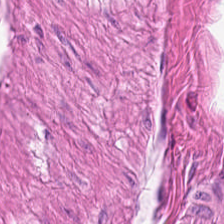WSI patch · hematoxylin and eosin.
Smooth muscle.
